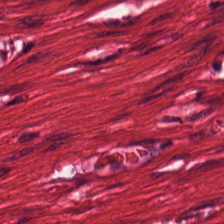H&E stain — The tissue is muscularis.
